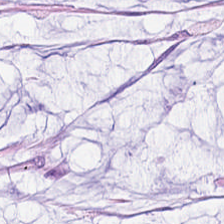Stain: hematoxylin and eosin.
Tissue class: extracellular mucin.
